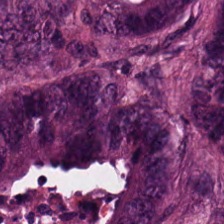Hematoxylin and eosin · 224×224 px patch · whole-slide-image patch — Classification — malignant epithelium.
